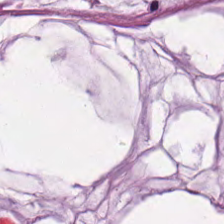H&E — Showing extracellular mucin.
